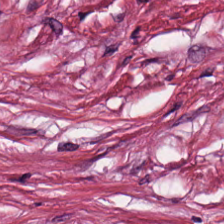FFPE tissue section. Hematoxylin-and-eosin stained section.
Impression → desmoplastic stroma.
